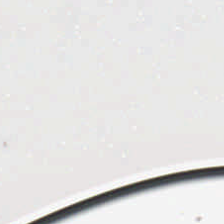H&E stain — Q: Classify this patch.
A: It is background.
